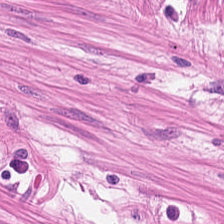Predominantly smooth-muscle tissue.
